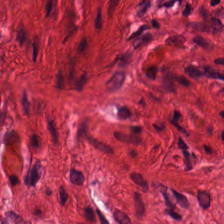H&E patch showing muscularis.
